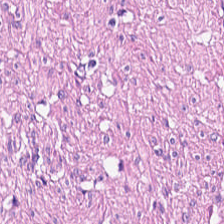H&E patch showing muscularis.
